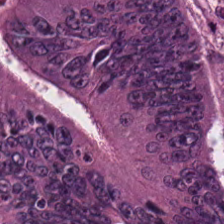Stain: H&E stain.
Preparation: FFPE.
Tile size: 224×224 pixel tile.
Predominant tissue: malignant epithelium.
